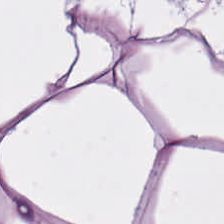Hematoxylin-and-eosin stained section — Predominantly fat tissue.
